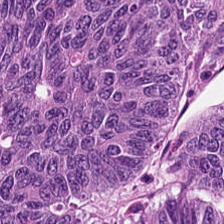Q: Classify this patch.
A: It is tumor epithelium.
